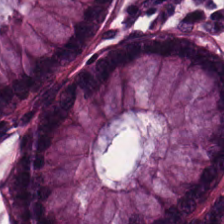Finding — non-neoplastic colon mucosa.
